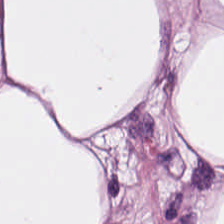224×224 px patch · H&E stain. Finding → adipose.
